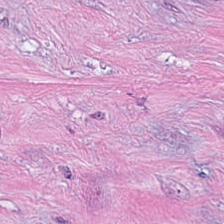Hematoxylin and eosin.
The tissue class is desmoplastic stroma.
